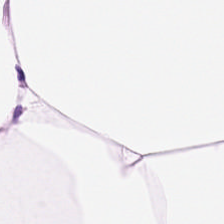Hematoxylin-and-eosin stained section — Tissue class: adipocytes.
